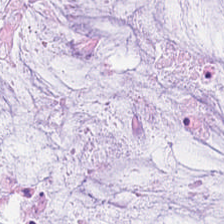The tissue type is mucin.
